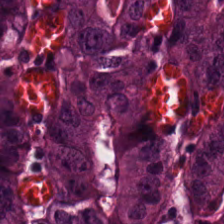H&E-stained tissue section. Colorectal adenocarcinoma epithelium.
